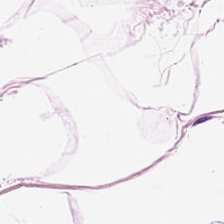H&E stain.
This patch shows adipose tissue.
